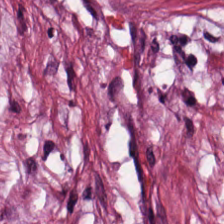20× equivalent magnification; hematoxylin-and-eosin stained section; formalin-fixed paraffin-embedded section. This field is tumor-associated stroma.
